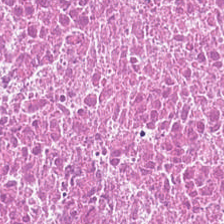H&E-stained tissue section — Necrotic debris.
